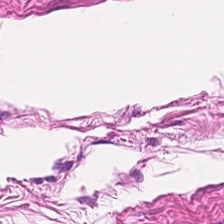H&E-stained tissue section — Predominantly smooth-muscle tissue.
